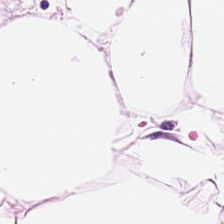Hematoxylin-and-eosin stained section · FFPE tissue section — Finding — adipose tissue.
